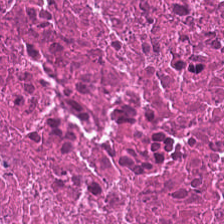H&E.
Tissue type — necrotic debris.
